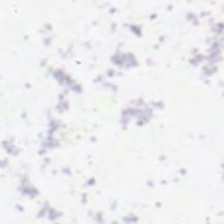This patch shows background.
